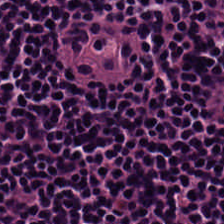Hematoxylin and eosin.
Classification: lymphocyte aggregate.
